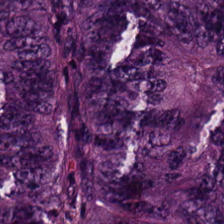FFPE tissue section. H&E-stained tissue section.
This patch shows colorectal adenocarcinoma epithelium.
